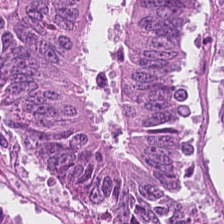Hematoxylin-and-eosin stained section. The tissue here is colorectal adenocarcinoma.
